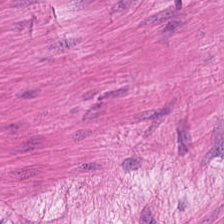Q: What is shown here?
A: This is smooth muscle.
